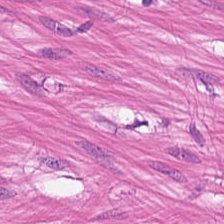Brightfield microscopy · H&E-stained tissue section · 20× equivalent magnification. This field is muscularis.
